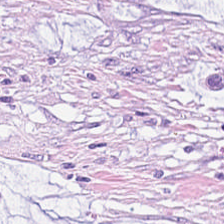Q: What is shown in this field?
A: The field shows mucus.
